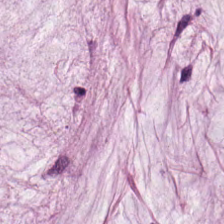Hematoxylin-and-eosin section: mucin.
